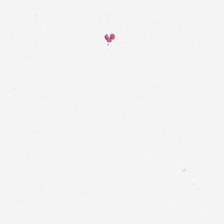Hematoxylin-and-eosin stained section; brightfield; FFPE tissue section — Empty field — background (no tissue).
